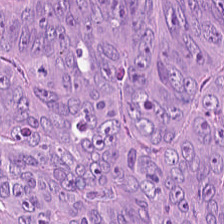0.5 µm per pixel. Hematoxylin-and-eosin stained section. Q: What is the predominant tissue type?
A: Colorectal adenocarcinoma.
